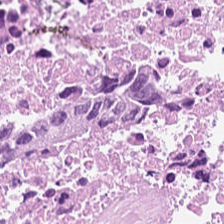224×224 pixel tile; H&E stain; 20× equivalent magnification — Impression → debris.
